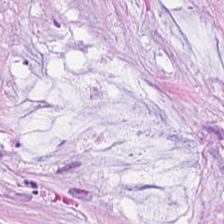Brightfield microscopy · hematoxylin-and-eosin stained section — Histology → extracellular mucin.
